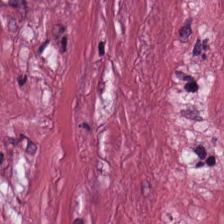Showing desmoplastic stroma.
